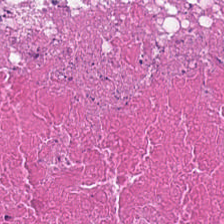Hematoxylin and eosin · WSI patch · FFPE tissue section — {"tissue_type": "necrotic debris"}
